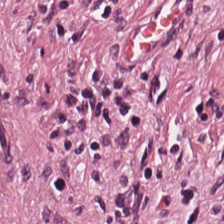Finding → cancer-associated stroma.
